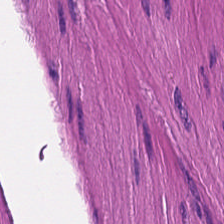H&E-stained tissue section; 20× equivalent magnification — Q: Identify the tissue.
A: Smooth muscle.
